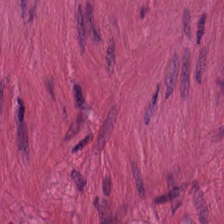H&E — Tissue class — smooth-muscle tissue.
